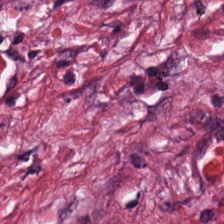Stain: hematoxylin and eosin.
Tile size: 224×224 px patch.
Acquisition: brightfield microscopy.
Tissue class: tumor-associated stroma.
